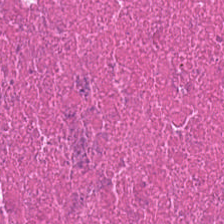Hematoxylin-and-eosin stained section; 224×224 px tile — Tissue type — debris.
